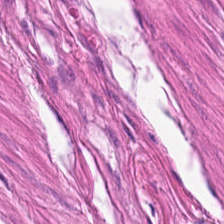Hematoxylin-and-eosin stained section.
The tissue type is muscularis.
